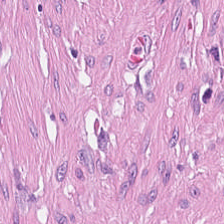Hematoxylin and eosin.
Q: Identify the tissue.
A: This is cancer-associated stroma.
